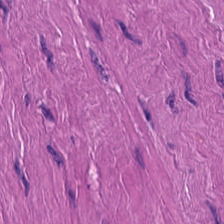The predominant tissue is muscularis.
